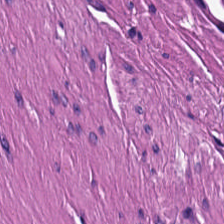Q: What does this patch show?
A: The field shows muscularis.
